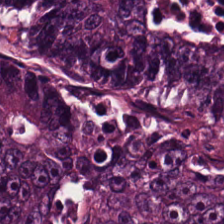Whole-slide-image patch · H&E · 0.5 µm per pixel. Classification — malignant epithelium.
